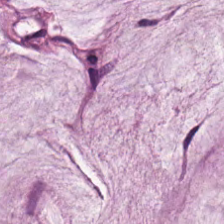H&E stain.
Predominantly extracellular mucin.
